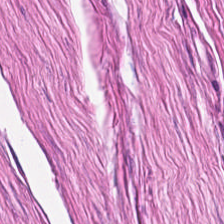Stain: hematoxylin-and-eosin stained section.
Predominant tissue: smooth muscle.
